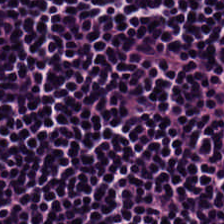Hematoxylin and eosin.
Histology — lymphoid infiltrate.
